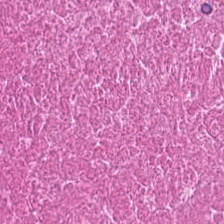Q: What type of tissue is this?
A: Necrotic debris.
